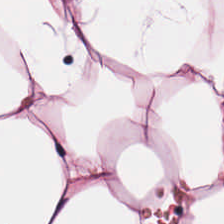Histology — fat tissue.
